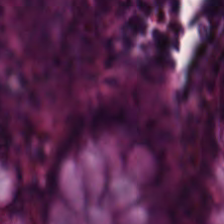Formalin-fixed paraffin-embedded section. Brightfield. Hematoxylin and eosin. Tissue type: normal colonic mucosa.
